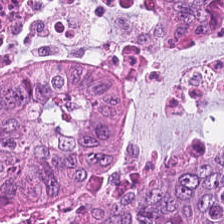WSI patch · hematoxylin and eosin · FFPE tissue section — The predominant tissue is adenocarcinoma.
